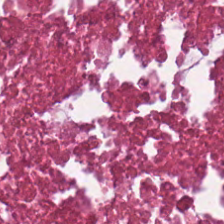H&E-stained tissue section.
{"tissue_type": "debris"}
